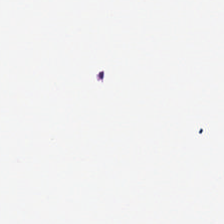Q: What is shown here?
A: No tissue.
